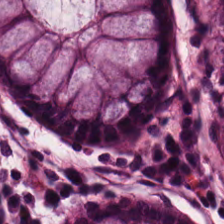Brightfield · 224×224 pixel tile · hematoxylin-and-eosin stained section — This patch shows benign colonic mucosa.
